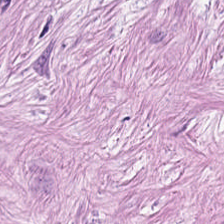H&E-stained tissue section. Impression — tumor stroma.
